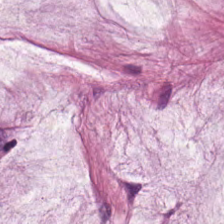Hematoxylin-and-eosin stained section. {"tissue_type": "mucin"}
